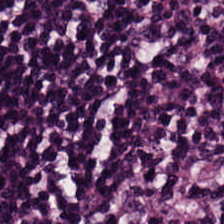Stain: hematoxylin and eosin.
Acquisition: brightfield.
Predominant tissue: lymphoid infiltrate.
